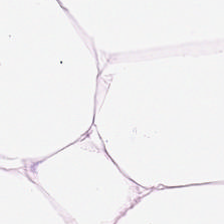H&E stain. Classification — adipocytes.
